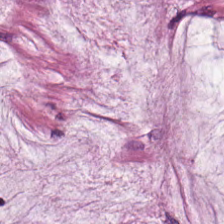Stain: H&E stain.
Predominant tissue: extracellular mucin.
